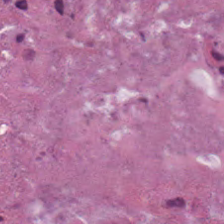H&E stain · FFPE tissue section · brightfield microscopy — The tissue here is debris.
